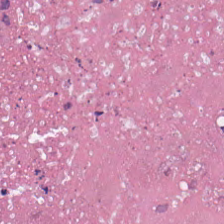Hematoxylin-and-eosin stained section; FFPE. The predominant tissue is debris.
